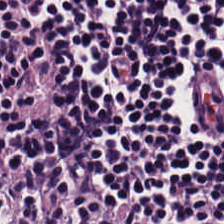Stain: hematoxylin-and-eosin stained section.
Classification: lymphocyte aggregate.
